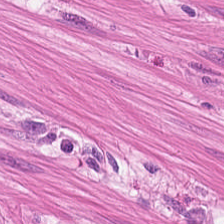Hematoxylin-and-eosin stained section — Smooth-muscle tissue.
